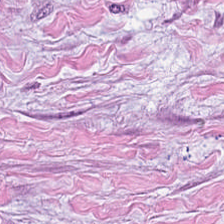H&E stain.
This field is tumor-associated stroma.
